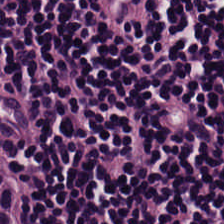H&E stain.
Impression → lymphocyte aggregate.
